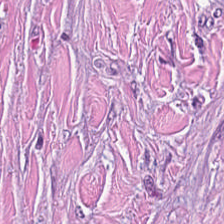{"tissue_type": "tumor stroma"}
